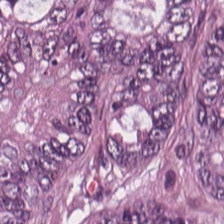FFPE tissue section. Brightfield microscopy. H&E stain — Predominant tissue: tumor epithelium.
